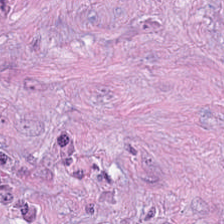224×224 px tile. FFPE tissue section. H&E-stained tissue section.
The classification is cancer-associated stroma.
